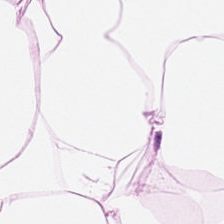H&E.
Tissue — fat tissue.
